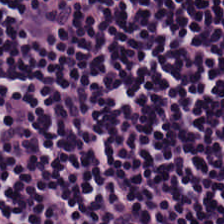Lymphoid infiltrate.
